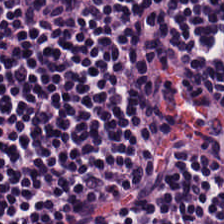Stain: H&E stain.
Predominant tissue: lymphocytic infiltrate.
